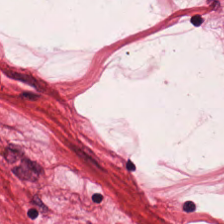Stain: hematoxylin and eosin.
Tissue: smooth-muscle tissue.
